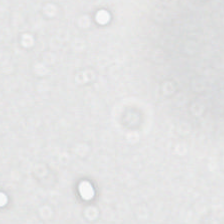224×224 pixel tile. Formalin-fixed paraffin-embedded section. Hematoxylin and eosin — This field is background (no tissue).
